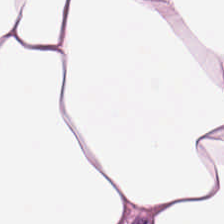224×224 pixel tile; hematoxylin and eosin — Tissue: adipose tissue.
